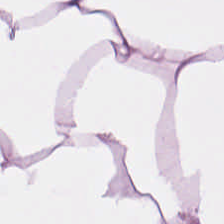H&E stain. Q: Identify the tissue.
A: It is adipose tissue.
